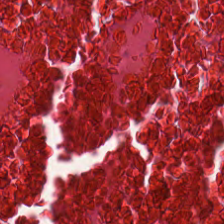Debris.
